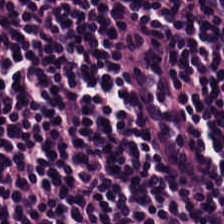0.5 microns per pixel · 224×224 px tile · H&E stain. The predominant tissue is lymphoid infiltrate.
